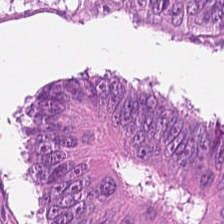Hematoxylin and eosin — The tissue here is colorectal adenocarcinoma epithelium.
